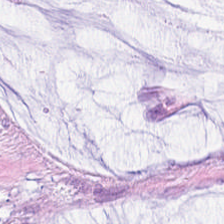224×224 px tile. H&E-stained tissue section.
Finding — mucus.
